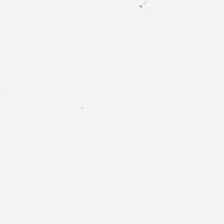Stain: H&E stain.
Field content: background (no tissue).
